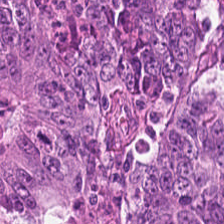Q: What tissue type is shown here?
A: It is malignant epithelium.
